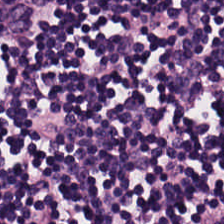H&E — lymphocyte aggregate.
